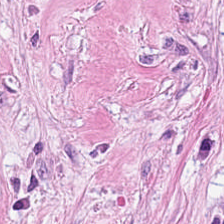Hematoxylin and eosin — The tissue here is cancer-associated stroma.
